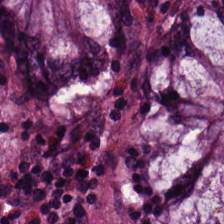0.5 microns per pixel; hematoxylin-and-eosin stained section.
Showing benign colonic mucosa.
